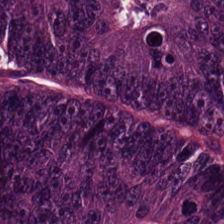Stain: hematoxylin-and-eosin stained section.
Classification: colorectal adenocarcinoma epithelium.
